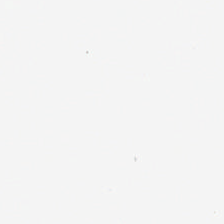Q: Classify this patch.
A: It is background.
